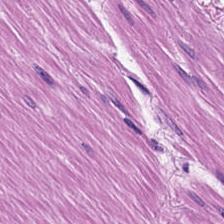224×224 pixel tile. Hematoxylin and eosin. The predominant tissue is muscularis.
